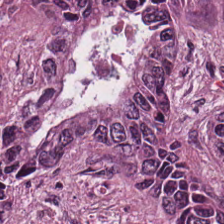{"tissue_type": "malignant epithelium"}
